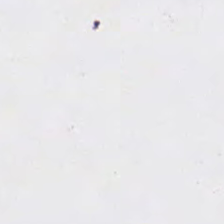Content = no tissue.
